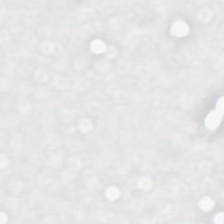The field content is background (no tissue).
